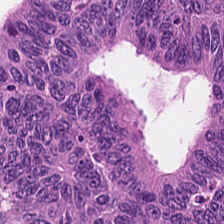Q: What is shown here?
A: Colorectal adenocarcinoma epithelium.
